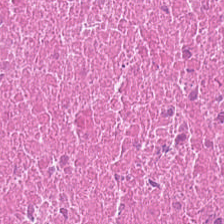Hematoxylin and eosin — Q: What type of tissue is this?
A: It is cellular debris.
